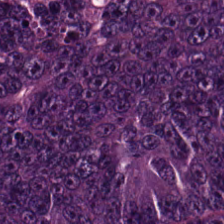Q: Classify this patch.
A: The field shows colorectal adenocarcinoma.
